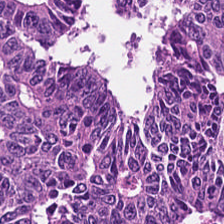Stain: hematoxylin and eosin.
Tissue type: malignant epithelium.
